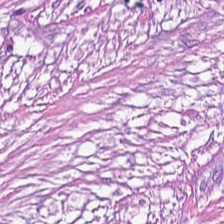H&E stain — Q: Classify this patch.
A: The field shows tumor stroma.
